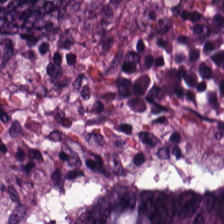Q: What is shown here?
A: This is colorectal adenocarcinoma epithelium.
